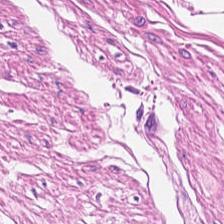Whole-slide-image patch. Hematoxylin-and-eosin stained section. FFPE. Smooth-muscle tissue.
